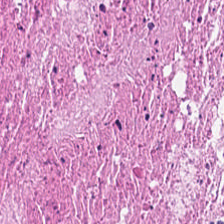Stain: H&E.
Classification: debris.
